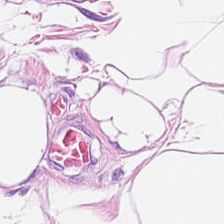H&E · 224×224 pixel tile.
The predominant tissue is adipocytes.
